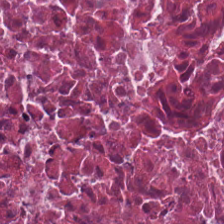Finding — necrotic debris.
